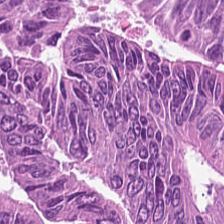H&E stain. This patch shows adenocarcinoma.
